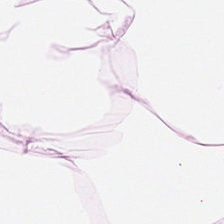Finding → adipose.
